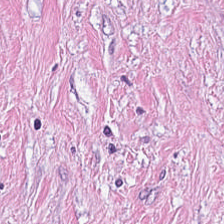Tissue = desmoplastic stroma.
